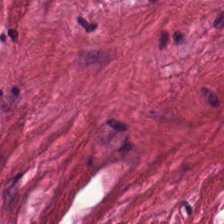Brightfield · hematoxylin and eosin — This patch shows tumor stroma.
